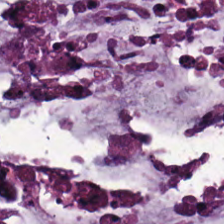224×224 px patch · H&E stain · whole-slide-image patch.
This patch shows extracellular mucin.
